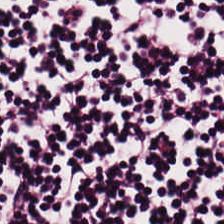20× equivalent magnification; H&E; 224×224 px tile. The predominant tissue is lymphocyte aggregate.
